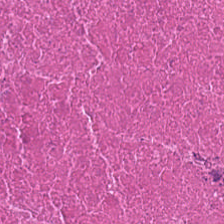FFPE tissue section. H&E-stained tissue section. 224×224 pixel tile. Impression → necrotic debris.
